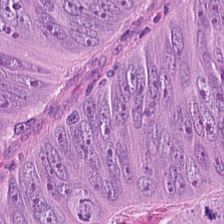H&E — tumor epithelium.
